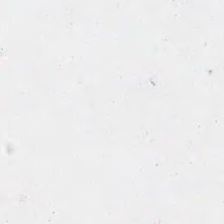Hematoxylin and eosin · formalin-fixed paraffin-embedded section. No tissue present; background only.
